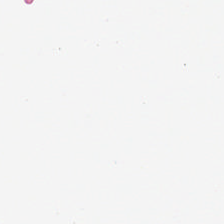H&E stain — Content = background.
